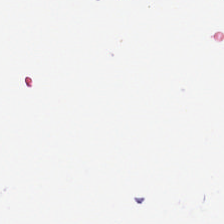No tissue present; background only.
